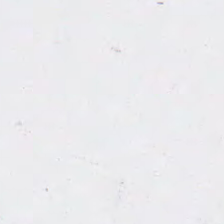FFPE; brightfield; H&E. {"content": "background (no tissue)"}
